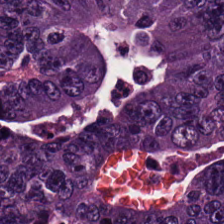H&E.
Showing tumor epithelium.
